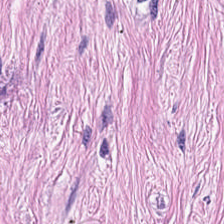Tissue type — tumor stroma.
